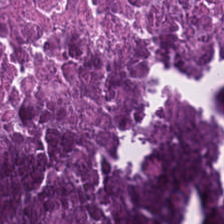224×224 pixel tile · H&E-stained tissue section — This patch shows debris.
